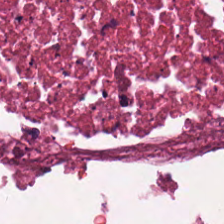H&E stain; WSI patch; 224×224 px patch.
Q: What type of tissue is this?
A: The field shows necrotic debris.
